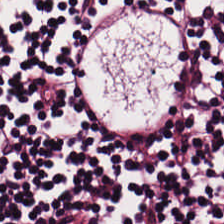20× equivalent magnification. Hematoxylin and eosin — Tissue class = lymphoid infiltrate.
